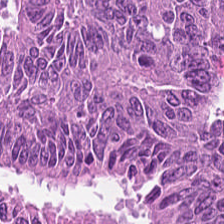{"tissue_type": "colorectal adenocarcinoma"}
